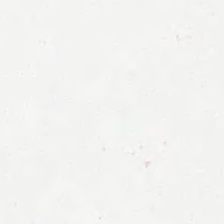H&E-stained tissue section. Q: Classify this patch.
A: Empty background.
